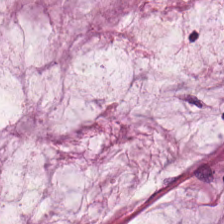Stain: H&E.
Tissue type: mucin.
